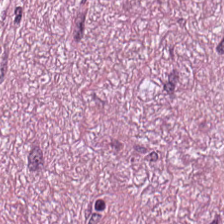H&E stain. Impression — desmoplastic stroma.
